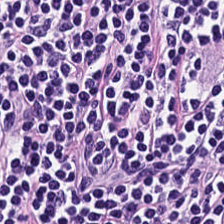0.5 microns per pixel; hematoxylin-and-eosin stained section. Q: What is the predominant tissue type?
A: The field shows lymphocytic infiltrate.
